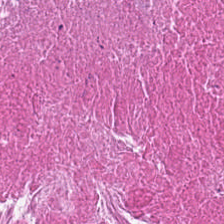Hematoxylin and eosin. Tissue = debris.
